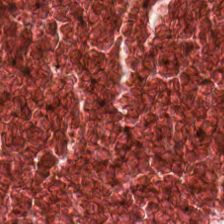Stain: hematoxylin and eosin.
Acquisition: whole-slide-image patch.
Tissue: cellular debris.
